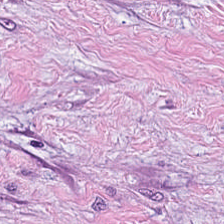H&E — This field is cancer-associated stroma.
